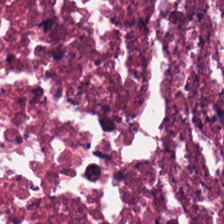FFPE tissue section. H&E-stained tissue section. Brightfield microscopy. Predominant tissue = cellular debris.
